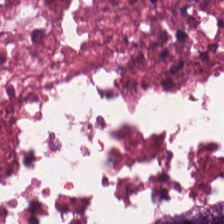Hematoxylin-and-eosin stained section · 0.5 µm/px · brightfield microscopy. Showing necrotic debris.
